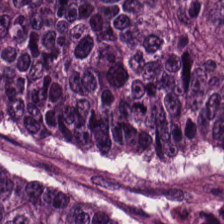H&E-stained tissue section. Showing adenocarcinoma.
